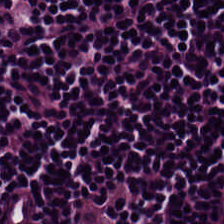H&E-stained tissue section; 0.5 microns per pixel. Showing lymphoid infiltrate.
